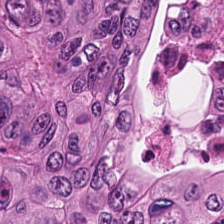Hematoxylin-and-eosin stained section.
Impression — colorectal adenocarcinoma.
